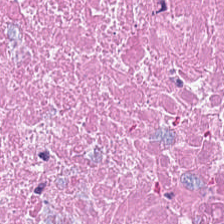Hematoxylin and eosin.
{"tissue_type": "cellular debris"}
